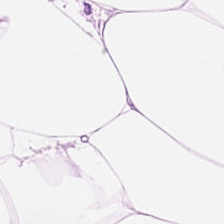Stain: H&E stain.
Tissue type: adipose.
